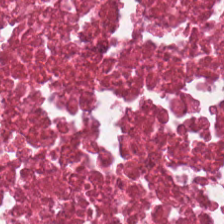H&E stain. 224×224 px tile.
Tissue: debris.
